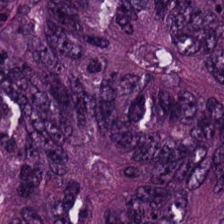0.5 microns per pixel. H&E. Q: What is shown here?
A: Colorectal adenocarcinoma epithelium.
